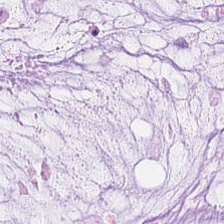H&E stain — Showing mucus.
